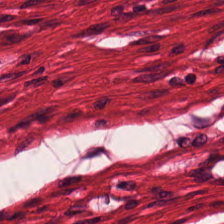224×224 px tile; 20× equivalent magnification; H&E.
This field is smooth muscle.
